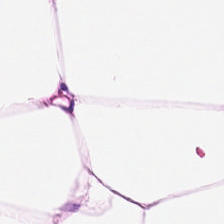224×224 px patch; brightfield microscopy; H&E stain. Q: What type of tissue is this?
A: It is adipose tissue.
